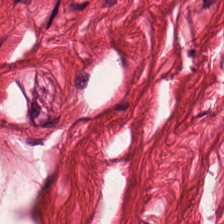Hematoxylin-and-eosin stained section · 224×224 px patch · FFPE. Muscularis.
